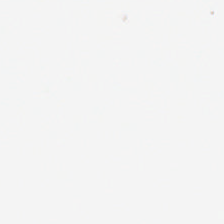Hematoxylin and eosin. Classification = no tissue.
